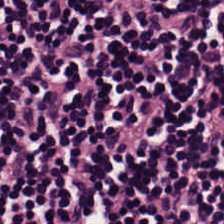Showing lymphocytic infiltrate.
